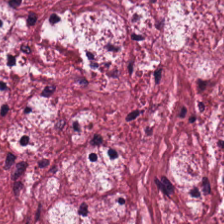Stain: H&E.
Tile size: 224×224 pixel tile.
Acquisition: WSI patch.
Tissue class: cancer-associated stroma.
